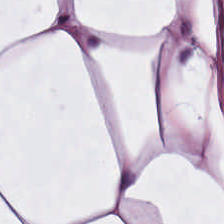WSI patch · H&E stain · 224×224 pixel tile. The tissue type is adipocytes.
